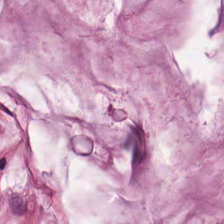Hematoxylin-and-eosin stained section. 224×224 px tile — This field is mucin.
